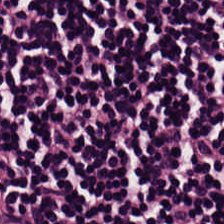224×224 px patch · H&E stain — Tissue = lymphocytes.
